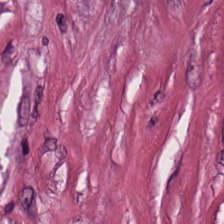Hematoxylin-and-eosin stained section. Desmoplastic stroma.
